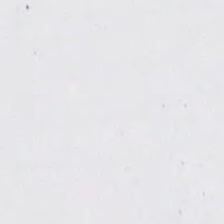Q: What is shown in this field?
A: The field shows background (no tissue).
